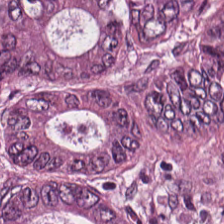Hematoxylin and eosin — Q: What type of tissue is this?
A: This is tumor epithelium.
